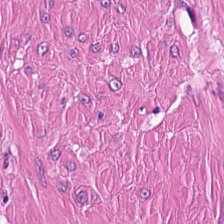H&E. Q: What is shown in this field?
A: This is muscularis.
